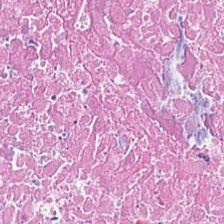The tissue here is debris.
